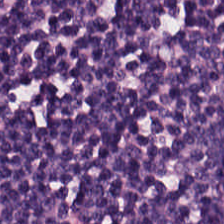Whole-slide-image patch; hematoxylin and eosin. The tissue here is lymphocytic infiltrate.
